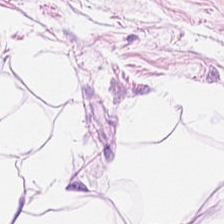Tissue class — fat tissue.
